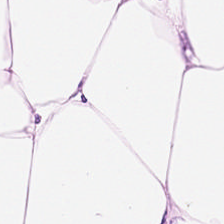Hematoxylin-and-eosin stained section; 0.5 microns per pixel.
This field is adipocytes.
